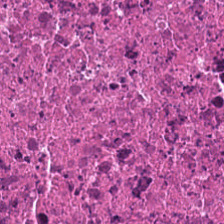Q: What is shown here?
A: It is cellular debris.
